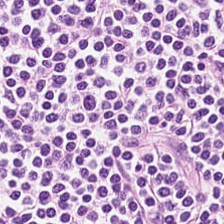Stain: H&E-stained tissue section.
Predominant tissue: lymphocytic infiltrate.
